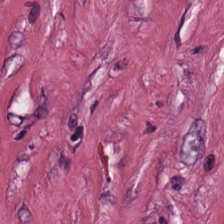FFPE; hematoxylin and eosin — Showing desmoplastic stroma.
